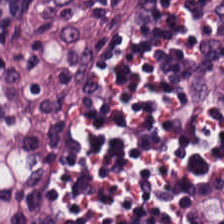224×224 px tile; 0.5 µm/px; H&E-stained tissue section. The tissue class is lymphoid infiltrate.
